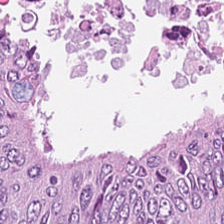Hematoxylin and eosin · formalin-fixed paraffin-embedded section — Predominant tissue — adenocarcinoma.
